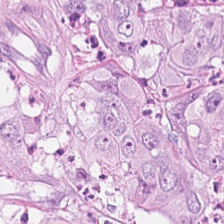Stain: H&E-stained tissue section.
Tissue type: colorectal adenocarcinoma epithelium.
